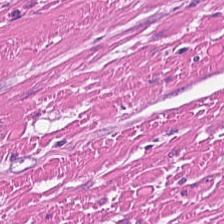Hematoxylin and eosin. Showing smooth-muscle tissue.
